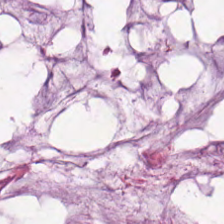WSI patch · H&E-stained tissue section · 0.5 microns per pixel.
Tissue class — mucin.
